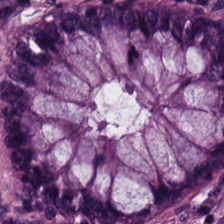Brightfield microscopy · hematoxylin and eosin · FFPE tissue section.
Predominant tissue: benign colonic mucosa.
